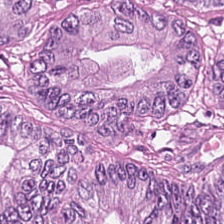Impression — tumor epithelium.
